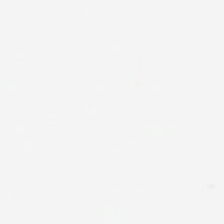224×224 px tile · brightfield · hematoxylin and eosin. Empty field — background.
